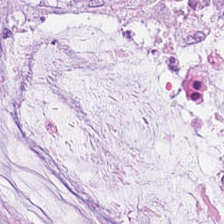{"tissue_type": "mucus"}
